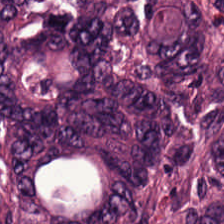H&E stain — The tissue here is colorectal adenocarcinoma epithelium.
